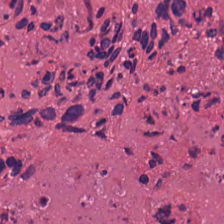FFPE tissue section · H&E.
The predominant tissue is debris.
